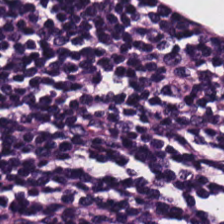Brightfield; H&E-stained tissue section; 224×224 px tile — Predominant tissue = lymphocytes.
